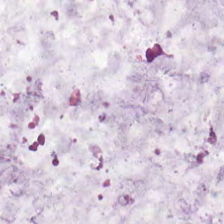0.5 µm per pixel · 224×224 px tile · hematoxylin and eosin. Showing extracellular mucin.
